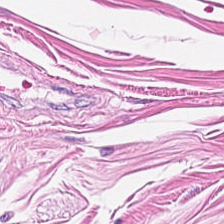WSI patch; H&E-stained tissue section.
Smooth-muscle tissue.
